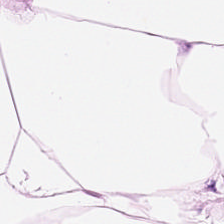Formalin-fixed paraffin-embedded section; H&E-stained tissue section — This field is adipose.
